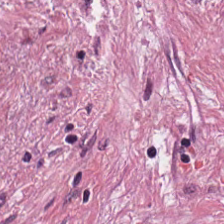FFPE tissue section. Hematoxylin and eosin.
Tissue type = tumor-associated stroma.
